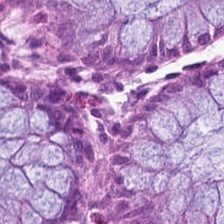H&E. Tissue type — benign colonic mucosa.
